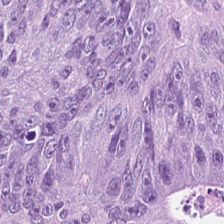This field is colorectal adenocarcinoma epithelium.
